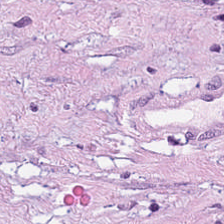H&E-stained tissue section — Q: Identify the tissue.
A: The field shows tumor-associated stroma.
